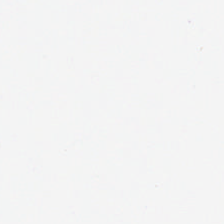224×224 pixel tile. H&E-stained tissue section.
This patch shows background.
